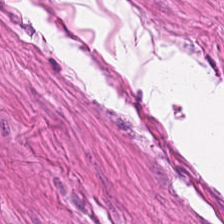H&E — smooth-muscle tissue.
